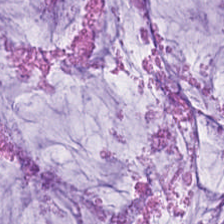The classification is mucus.
